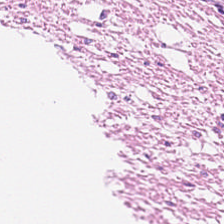H&E stain.
Tissue: muscularis.
